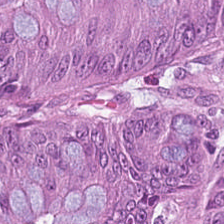H&E-stained tissue section — The predominant tissue is tumor epithelium.
